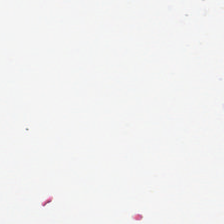H&E-stained tissue section · 0.5 microns per pixel. Empty field — no tissue.
